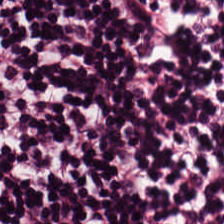H&E-stained section; the field shows lymphocytic infiltrate.
